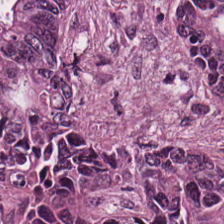Stain: H&E-stained tissue section.
Tissue type: malignant epithelium.
